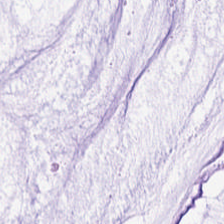H&E — Predominant tissue: mucus.
